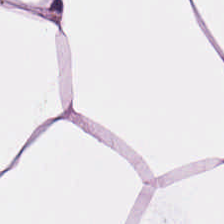H&E stain — Tissue type: adipose.
